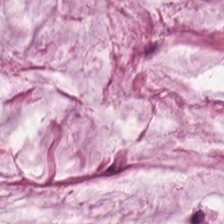Stain: hematoxylin and eosin.
Acquisition: whole-slide-image patch.
Tissue class: mucin.
